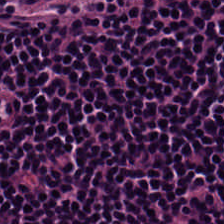Hematoxylin and eosin. Lymphocyte aggregate.
